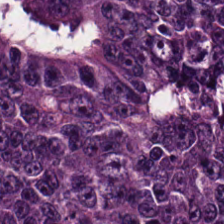Impression — adenocarcinoma.
